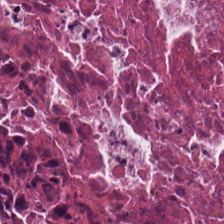224×224 px tile; H&E. Tissue type = cellular debris.
